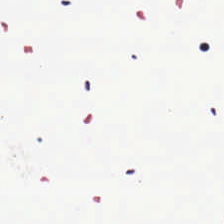Background — no tissue in this field.
